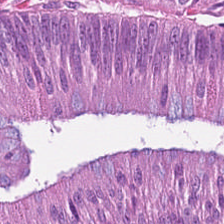H&E-stained tissue section. The classification is adenocarcinoma.
